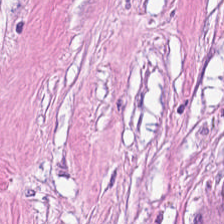H&E-stained tissue section.
The tissue is tumor stroma.
